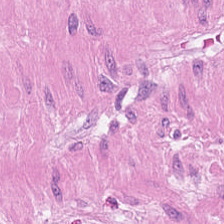Histology → smooth-muscle tissue.
